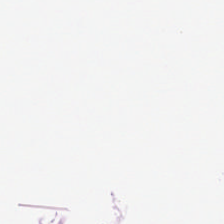This field is adipose.
